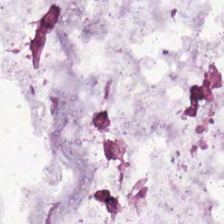WSI patch · hematoxylin and eosin.
Mucus.
